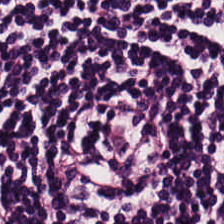Hematoxylin and eosin · 0.5 µm/px · brightfield — This patch shows lymphocytic infiltrate.
